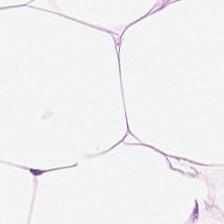H&E stain. This field is fat tissue.
